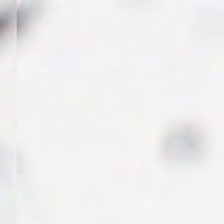H&E-stained tissue section · brightfield microscopy. This field is background (no tissue).
